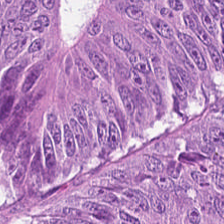Stain: H&E-stained tissue section.
Acquisition: whole-slide-image patch.
Classification: tumor epithelium.
